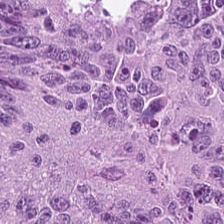Hematoxylin and eosin. 20× equivalent magnification — Showing tumor epithelium.
